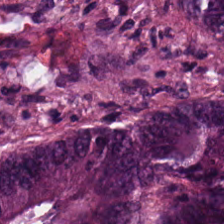H&E-stained section; the field shows adenocarcinoma.
